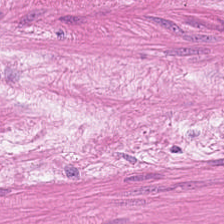WSI patch. H&E stain. Predominant tissue = muscularis.
